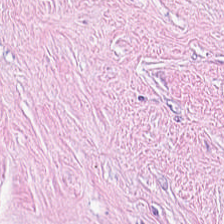Tissue type: tumor-associated stroma.
